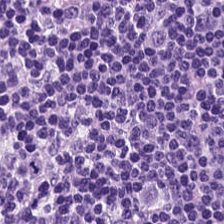H&E — lymphocytic infiltrate.
